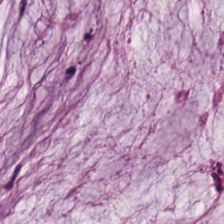Q: What type of tissue is this?
A: It is mucus.
